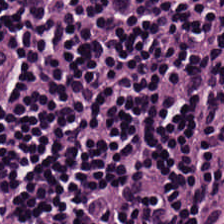H&E-stained tissue section showing lymphocytic infiltrate.
